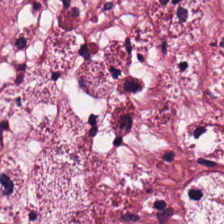Formalin-fixed paraffin-embedded section · hematoxylin-and-eosin stained section · 0.5 µm per pixel — Showing tumor stroma.
